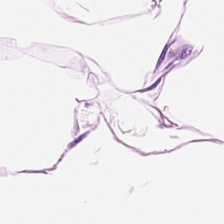Classification = adipose.
